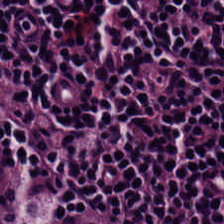Finding → lymphocytes.
